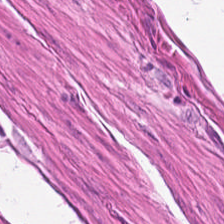Hematoxylin and eosin.
Q: What is the predominant tissue type?
A: This is smooth-muscle tissue.
